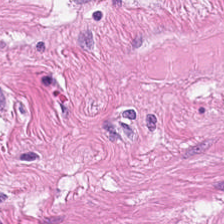H&E stain · 0.5 µm per pixel · 224×224 pixel tile. Predominant tissue: smooth muscle.
